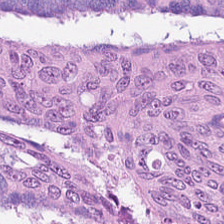Impression — tumor epithelium.
